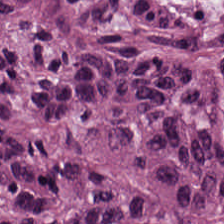Hematoxylin and eosin. 224×224 px patch. The tissue is colorectal adenocarcinoma.
